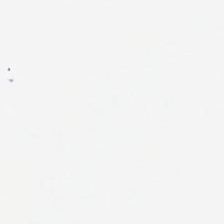H&E stain · 224×224 px tile.
Classification = background.
